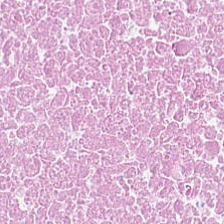H&E · FFPE tissue section · 224×224 px patch. This field is necrotic debris.
